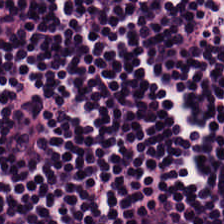Hematoxylin-and-eosin stained section — Classification — lymphocytes.
